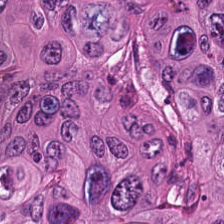Hematoxylin and eosin. Histology — malignant epithelium.
